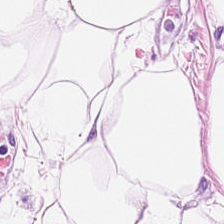H&E-stained tissue section — Classification — fat tissue.
